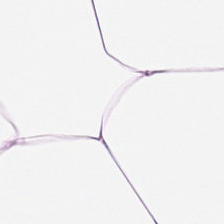H&E.
Impression — adipocytes.
